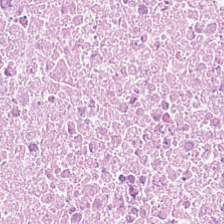Hematoxylin and eosin — Q: What is shown here?
A: It is debris.
